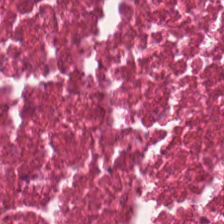H&E — necrotic debris.
